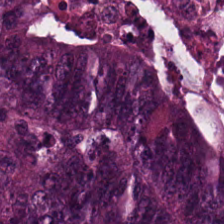Q: What tissue type is shown here?
A: This is colorectal adenocarcinoma.
